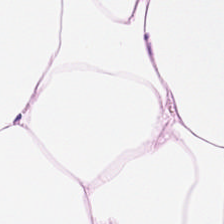Hematoxylin and eosin · 224×224 px patch · formalin-fixed paraffin-embedded section — Adipose tissue.
